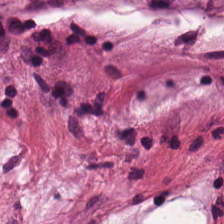0.5 µm per pixel; whole-slide-image patch; H&E stain.
Showing mucin.
